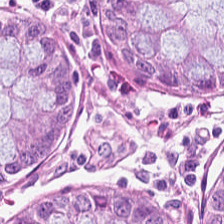Whole-slide-image patch. Hematoxylin-and-eosin stained section.
The tissue class is normal colon mucosa.
